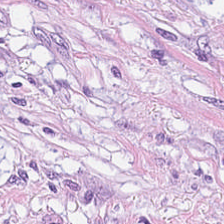Stain: H&E.
Predominant tissue: mucus.
